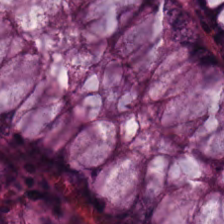Brightfield microscopy · H&E-stained tissue section · 0.5 µm per pixel — Tissue — non-neoplastic colon mucosa.
